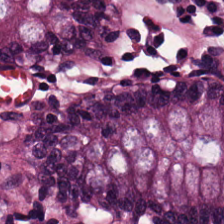{"tissue_type": "normal colon mucosa"}
